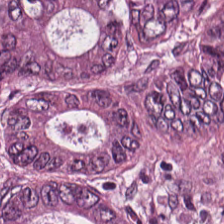Stain: hematoxylin-and-eosin stained section.
Tissue class: malignant epithelium.
